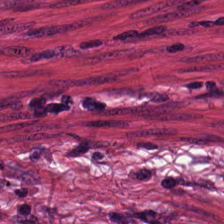H&E-stained tissue section — This field is tumor stroma.
